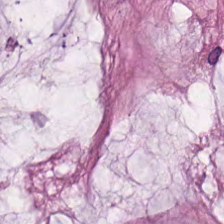Showing extracellular mucin.
